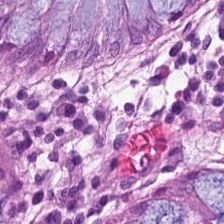Hematoxylin-and-eosin stained section — The predominant tissue is benign colonic mucosa.
